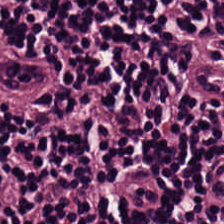Q: Classify this patch.
A: It is lymphocytic infiltrate.
